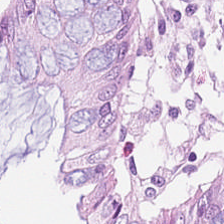H&E. 224×224 px tile — This field is normal colon mucosa.
